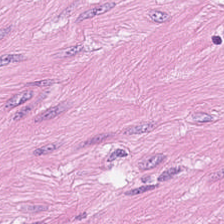H&E-stained tissue section.
Tissue class = muscularis.
